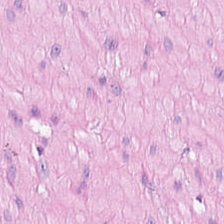Q: What does this patch show?
A: Smooth-muscle tissue.
